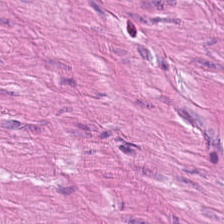Tissue: muscularis.
